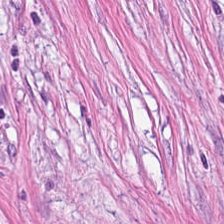Hematoxylin and eosin. Showing tumor stroma.
